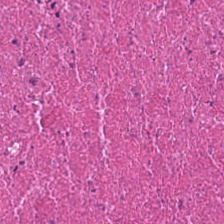Stain: H&E stain.
Classification: debris.
